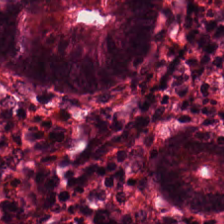Q: What does this patch show?
A: The field shows non-neoplastic colon mucosa.
